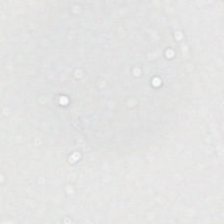Hematoxylin-and-eosin stained section; 0.5 microns per pixel — Content — background (no tissue).
